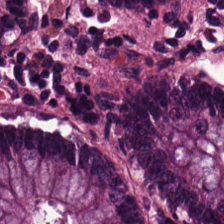Stain: hematoxylin-and-eosin stained section.
Resolution: 0.5 µm/px.
Tissue: normal colonic mucosa.
